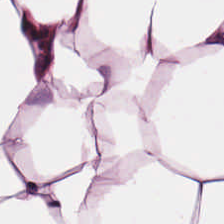Stain: H&E stain.
Acquisition: brightfield.
Tile size: 224×224 px patch.
Tissue: adipose tissue.
